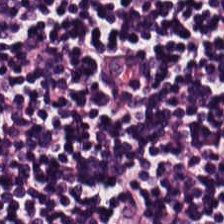H&E stain — Q: What is shown here?
A: It is lymphocyte aggregate.
